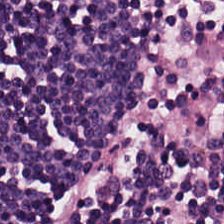Hematoxylin and eosin — Q: What is shown here?
A: It is lymphocyte aggregate.
